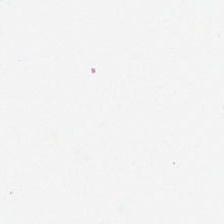Stain: hematoxylin and eosin.
Classification: no tissue.
